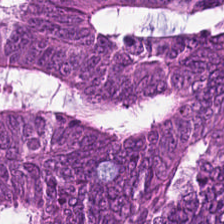H&E — This patch shows colorectal adenocarcinoma.
